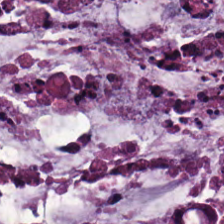The tissue here is extracellular mucin.
